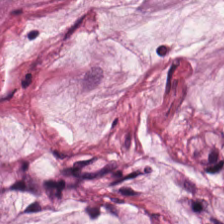Hematoxylin and eosin; FFPE. Tissue — mucus.
